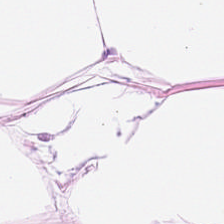224×224 pixel tile; H&E. Adipocytes.
